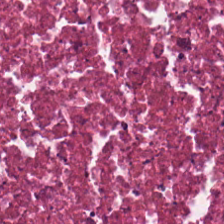Hematoxylin-and-eosin stained section. This patch shows debris.
